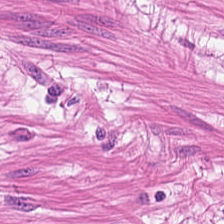Hematoxylin and eosin.
{"tissue_type": "smooth muscle"}
